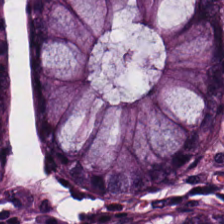H&E. Q: What is the predominant tissue type?
A: Benign colonic mucosa.
